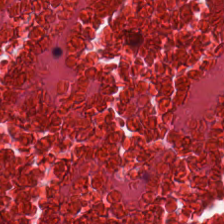Hematoxylin-and-eosin stained section — This patch shows cellular debris.
